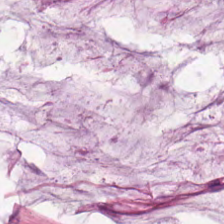Hematoxylin-and-eosin stained section — Q: What type of tissue is this?
A: Extracellular mucin.
